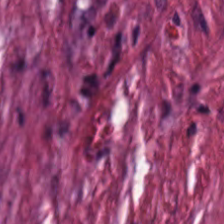H&E stain — This field is tumor stroma.
